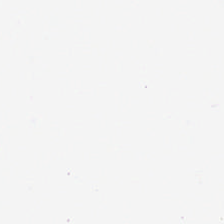Histology — no tissue.
